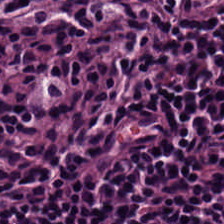Finding → lymphocytes.
